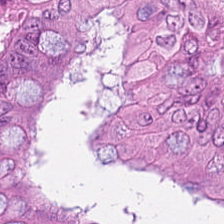H&E stain — Showing adenocarcinoma.
